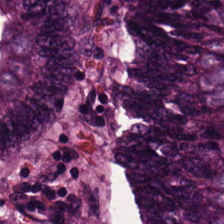H&E-stained tissue section.
This field is tumor epithelium.
